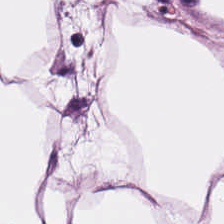Stain: H&E stain.
Tile size: 224×224 px tile.
Preparation: formalin-fixed paraffin-embedded section.
Tissue: adipose.
